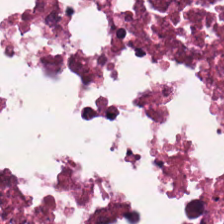Hematoxylin-and-eosin stained section.
Tissue class: cellular debris.
